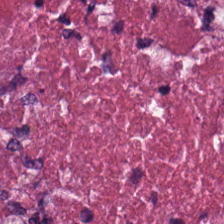Hematoxylin and eosin · 224×224 pixel tile — Tissue type = necrotic debris.
